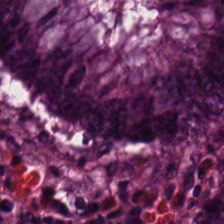H&E.
Impression → benign colonic mucosa.
